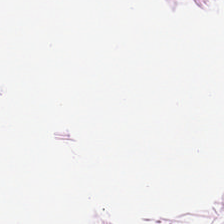Classification: adipose tissue.
